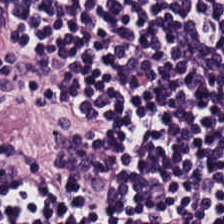FFPE. H&E stain — The tissue here is lymphoid infiltrate.
